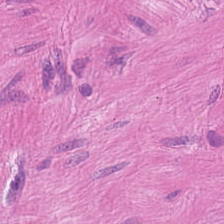Brightfield; H&E stain — Classification — smooth muscle.
